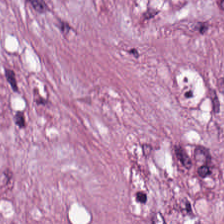H&E stain. Predominant tissue — tumor-associated stroma.
